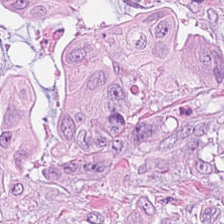H&E-stained tissue section · 20× equivalent magnification.
{"tissue_type": "tumor epithelium"}
